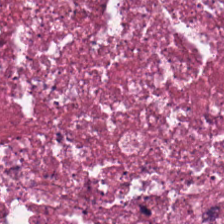H&E-stained section; the field shows necrotic debris.
